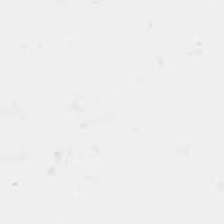Stain: hematoxylin-and-eosin stained section.
Acquisition: brightfield.
Content: background (no tissue).
